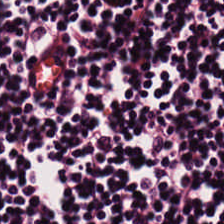Hematoxylin-and-eosin stained section.
Predominant tissue — lymphocytic infiltrate.
